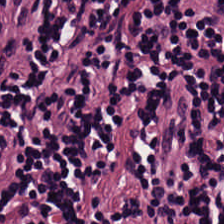Stain: hematoxylin and eosin.
Classification: lymphoid infiltrate.
